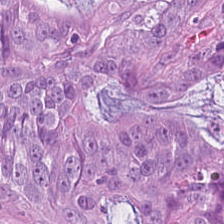Q: Classify this patch.
A: This is malignant epithelium.
